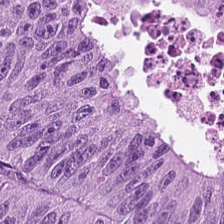Stain: hematoxylin and eosin.
Tissue class: colorectal adenocarcinoma.
